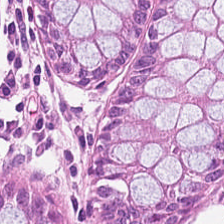Hematoxylin-and-eosin stained section. The tissue type is normal colon mucosa.
